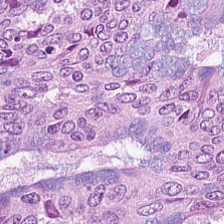Hematoxylin and eosin. The tissue here is adenocarcinoma.
